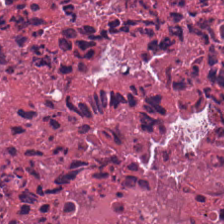H&E stain.
Q: Classify this patch.
A: This is necrotic debris.
